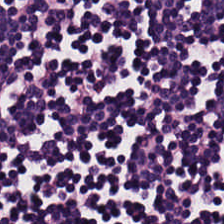224×224 px patch; brightfield microscopy; H&E. The tissue type is lymphocyte aggregate.
